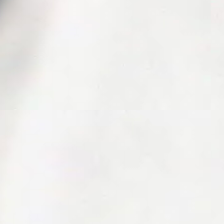Background — no tissue in this field.
